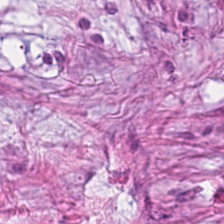Stain: H&E-stained tissue section.
Acquisition: whole-slide-image patch.
Preparation: FFPE tissue section.
Classification: cancer-associated stroma.
